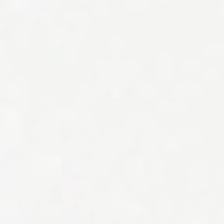Hematoxylin-and-eosin stained section.
Q: Classify this patch.
A: It is no tissue.
